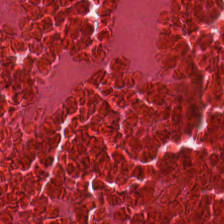Hematoxylin and eosin. This field is cellular debris.
